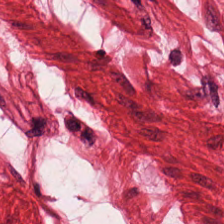Hematoxylin and eosin · brightfield microscopy · 20× equivalent magnification — The predominant tissue is muscularis.
